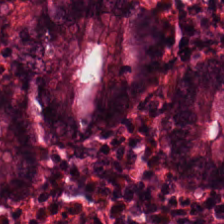H&E-stained section; the field shows non-neoplastic colon mucosa.
